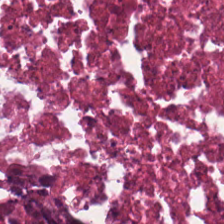WSI patch · hematoxylin-and-eosin stained section · 224×224 px patch — This patch shows cellular debris.
